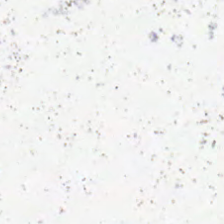Stain: H&E.
Resolution: 0.5 microns per pixel.
Content: background (no tissue).
